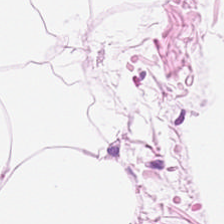H&E · whole-slide-image patch.
Showing adipose tissue.
